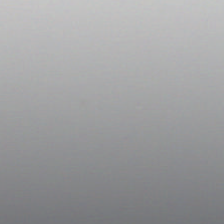H&E stain. Q: What does this patch show?
A: The field shows empty background.
